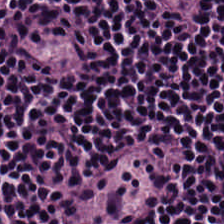Brightfield · hematoxylin and eosin — Q: Classify this patch.
A: The field shows lymphocytes.
